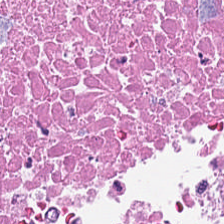H&E stain — Tissue: necrotic debris.
